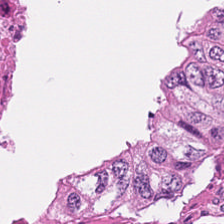This field is debris.
